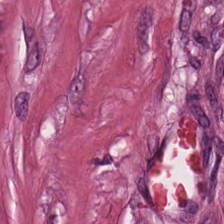This patch shows tumor-associated stroma.
